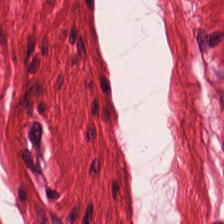H&E-stained tissue section. The tissue here is muscularis.
